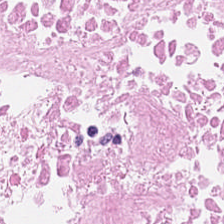FFPE. H&E-stained tissue section. The tissue here is debris.
